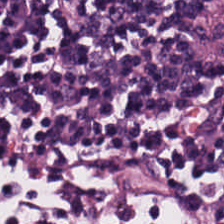H&E — This field is lymphocyte aggregate.
